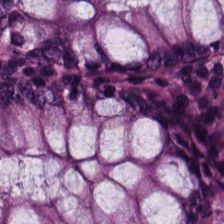The tissue here is normal colon mucosa.
